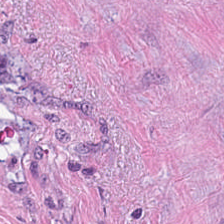Impression → cancer-associated stroma.
